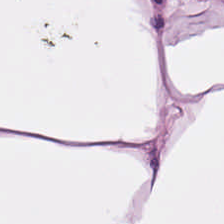Impression — adipocytes.
